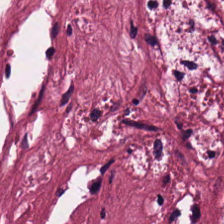20× equivalent magnification; H&E stain.
Desmoplastic stroma.
